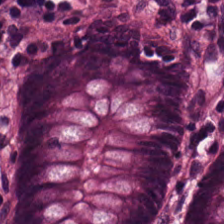Hematoxylin-and-eosin stained section.
The predominant tissue is normal colon mucosa.
